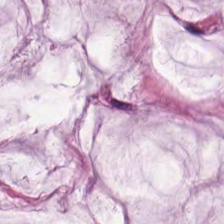H&E stain. Brightfield. Classification: mucin.
